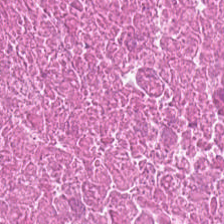Hematoxylin-and-eosin stained section.
This field is cellular debris.
